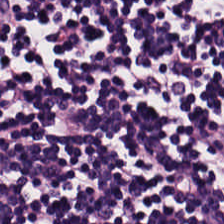H&E.
This field is lymphoid infiltrate.
